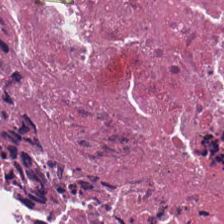Necrotic debris.
